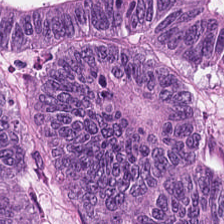Hematoxylin and eosin. Q: What is shown here?
A: It is malignant epithelium.
